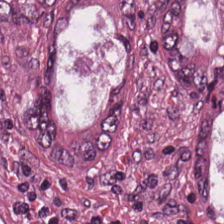Hematoxylin and eosin — Histology — colorectal adenocarcinoma.
